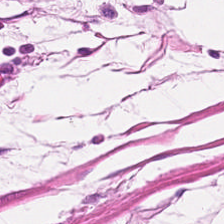H&E patch showing smooth-muscle tissue.
